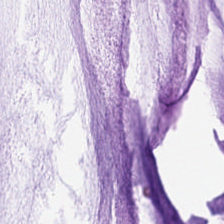H&E-stained tissue section — Q: Identify the tissue.
A: The field shows extracellular mucin.
